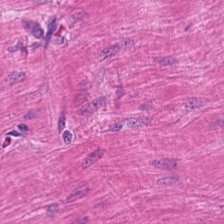Stain: hematoxylin and eosin.
Predominant tissue: muscularis.
